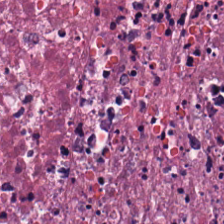Stain: H&E.
Tile size: 224×224 px patch.
Resolution: 0.5 µm/px.
Tissue class: necrotic debris.
